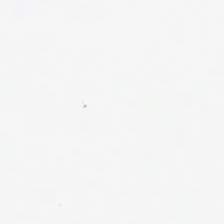Classification: background (no tissue).
